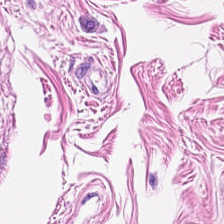Q: What type of tissue is this?
A: This is smooth-muscle tissue.
